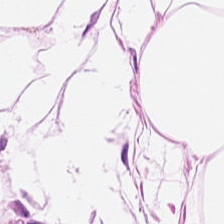H&E · 20× equivalent magnification · formalin-fixed paraffin-embedded section.
Impression → adipose.
